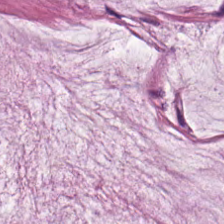Whole-slide-image patch. H&E. 0.5 microns per pixel. The tissue type is mucin.
